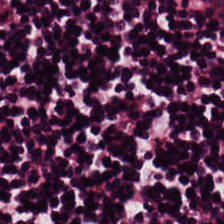This patch shows lymphocyte aggregate.
